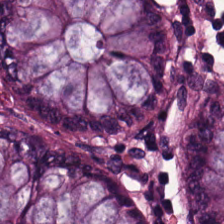224×224 px patch. Hematoxylin and eosin.
The predominant tissue is benign colonic mucosa.
